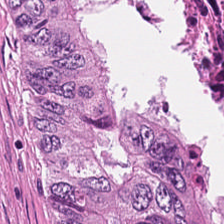FFPE; H&E — The tissue class is necrotic debris.
